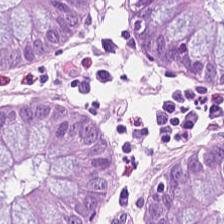FFPE tissue section; 224×224 px patch; hematoxylin-and-eosin stained section — Predominantly normal colon mucosa.
